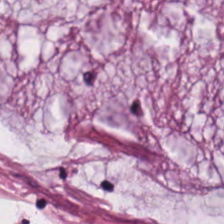Hematoxylin-and-eosin stained section · FFPE tissue section — Mucin.
